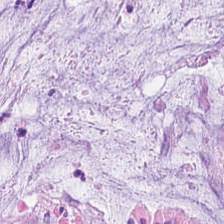H&E-stained tissue section. Q: Identify the tissue.
A: This is extracellular mucin.
